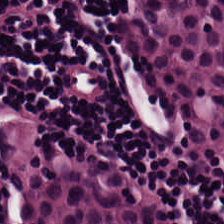Q: Identify the tissue.
A: Lymphocyte aggregate.
